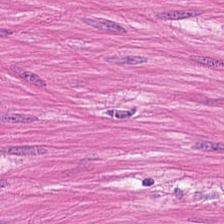H&E stain. Finding — smooth muscle.
